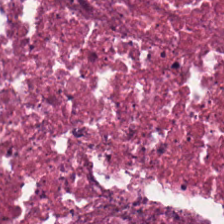H&E-stained tissue section — {"tissue_type": "cellular debris"}
